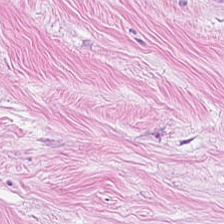FFPE · hematoxylin-and-eosin stained section.
This patch shows tumor stroma.
